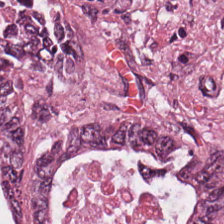H&E-stained section; the field shows colorectal adenocarcinoma epithelium.
